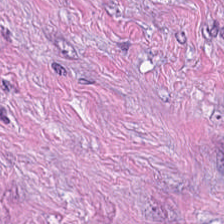Brightfield · H&E stain · 0.5 µm/px — The predominant tissue is tumor-associated stroma.
